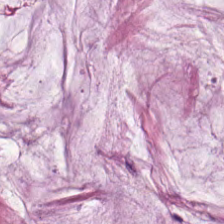H&E stain — Showing mucin.
